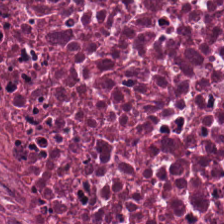Stain: H&E stain.
Tissue type: cellular debris.
